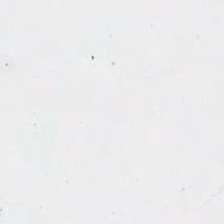FFPE tissue section · hematoxylin and eosin · 20× equivalent magnification.
Impression — empty background.
